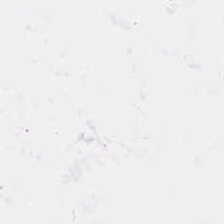Finding — background (no tissue).
